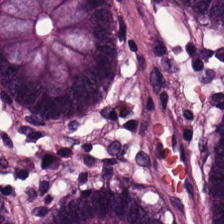0.5 µm per pixel; hematoxylin and eosin; FFPE tissue section.
The classification is benign colonic mucosa.
